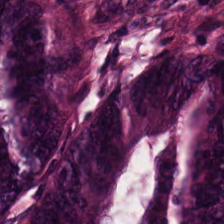Hematoxylin-and-eosin stained section.
Predominantly colorectal adenocarcinoma.
